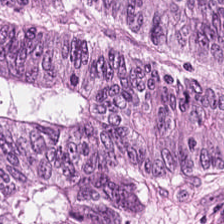H&E — Q: What is shown here?
A: The field shows malignant epithelium.
